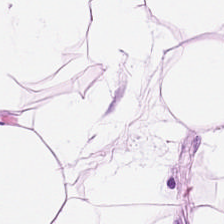Hematoxylin-and-eosin stained section. 224×224 px tile — This field is fat tissue.
